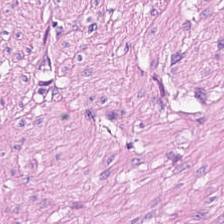224×224 px patch. H&E.
Tissue class = muscularis.
